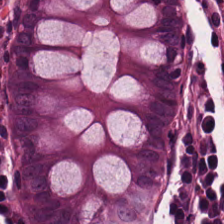Hematoxylin and eosin.
The tissue class is normal colonic mucosa.
